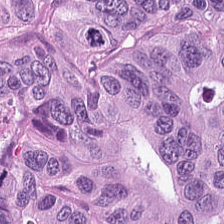{"tissue_type": "colorectal adenocarcinoma"}
